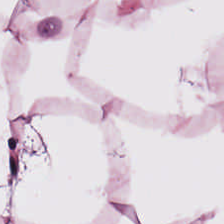Tissue class = adipocytes.
